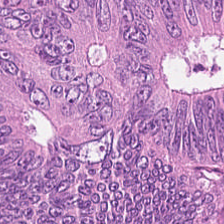Impression → colorectal adenocarcinoma.
